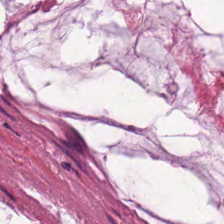20× equivalent magnification. H&E. This patch shows mucin.
